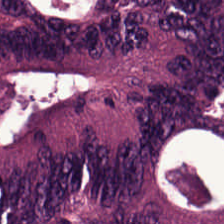Adenocarcinoma.
